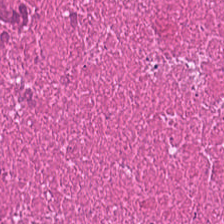Histology → necrotic debris.
